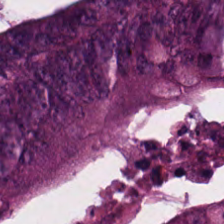WSI patch · H&E-stained tissue section — This field is malignant epithelium.
